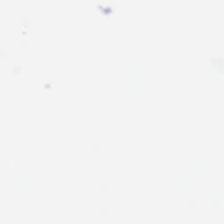Background — no tissue in this field.
